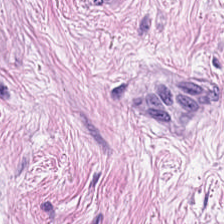Stain: H&E stain.
Resolution: 0.5 microns per pixel.
Classification: tumor stroma.
